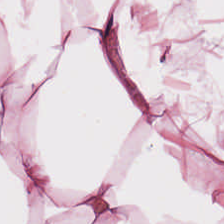Hematoxylin-and-eosin stained section.
The predominant tissue is adipocytes.
